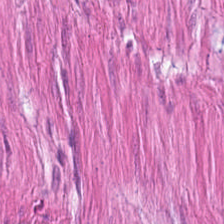Hematoxylin-and-eosin stained section · formalin-fixed paraffin-embedded section. Histology → smooth-muscle tissue.
